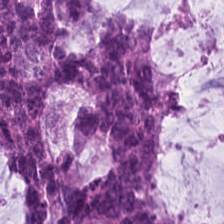H&E-stained tissue section. Impression → mucin.
